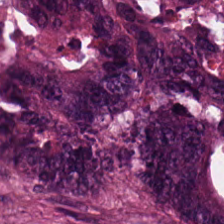{"tissue_type": "tumor epithelium"}
